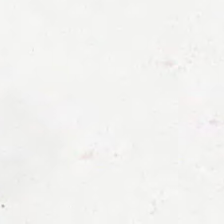224×224 px tile; H&E stain.
Background (no tissue).
